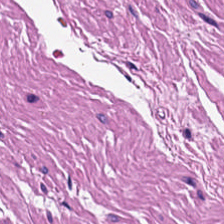WSI patch · hematoxylin-and-eosin stained section.
Tissue — muscularis.
